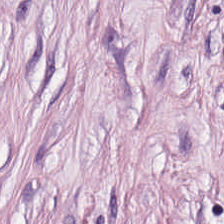Hematoxylin-and-eosin stained section. Predominant tissue: cancer-associated stroma.
